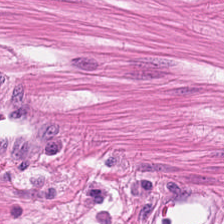Q: What does this patch show?
A: It is smooth-muscle tissue.
